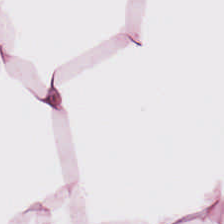H&E stain · 224×224 px tile — Adipose tissue.
